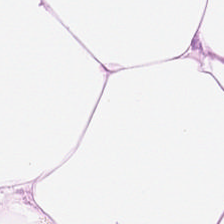Hematoxylin and eosin.
The tissue class is adipose.
